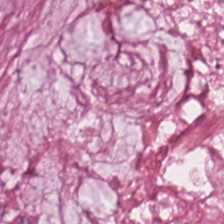Hematoxylin-and-eosin stained section · WSI patch — This field is mucin.
